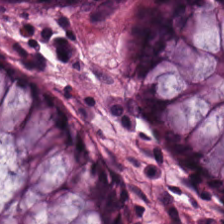{"tissue_type": "normal colonic mucosa"}
